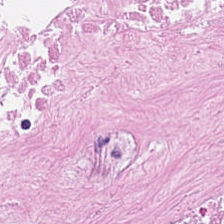H&E — The classification is cellular debris.
